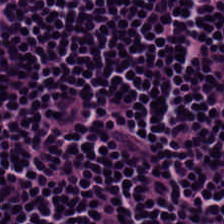Hematoxylin-and-eosin stained section. The predominant tissue is lymphoid infiltrate.
